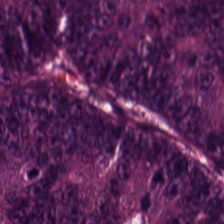The tissue is colorectal adenocarcinoma.
